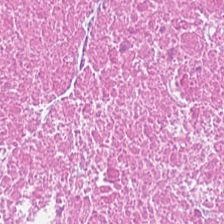H&E; 224×224 pixel tile.
Tissue class = necrotic debris.
